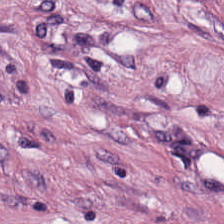224×224 px tile; formalin-fixed paraffin-embedded section; H&E-stained tissue section — Histology — tumor stroma.
